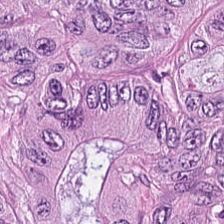Predominant tissue — adenocarcinoma.
